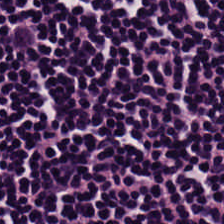Hematoxylin-and-eosin stained section — Predominantly lymphocytes.
